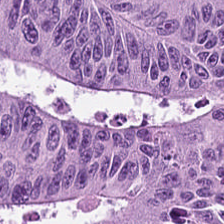Stain: hematoxylin and eosin.
Preparation: FFPE tissue section.
Acquisition: WSI patch.
Tissue: malignant epithelium.
